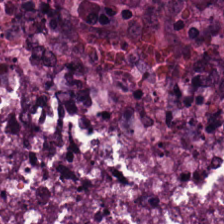Whole-slide-image patch · 224×224 px patch · H&E-stained tissue section — Q: Classify this patch.
A: Adenocarcinoma.
